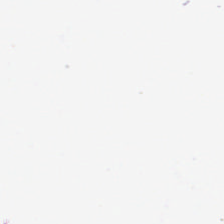Impression → no tissue.
